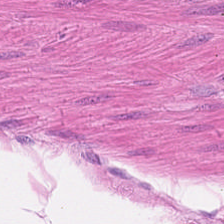Q: What is shown here?
A: Muscularis.
